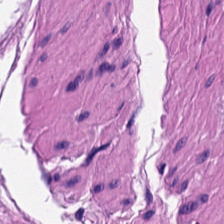The tissue class is smooth-muscle tissue.
